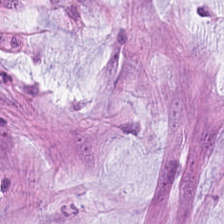Stain: hematoxylin-and-eosin stained section.
Tissue type: mucin.
